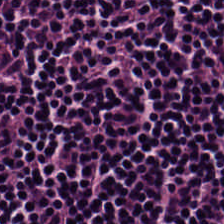0.5 microns per pixel. 224×224 px patch. Hematoxylin and eosin — Tissue class: lymphocyte aggregate.
